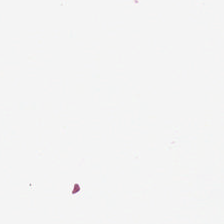This field is background (no tissue).
